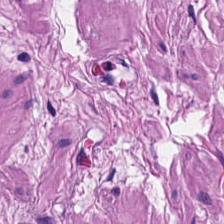H&E-stained tissue section — Q: Identify the tissue.
A: It is smooth-muscle tissue.
